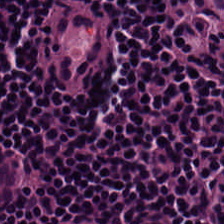H&E; formalin-fixed paraffin-embedded section. Impression → lymphoid infiltrate.
